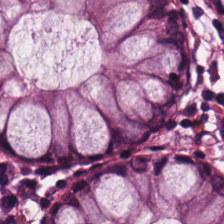Hematoxylin-and-eosin stained section — Q: Identify the tissue.
A: Normal colon mucosa.
